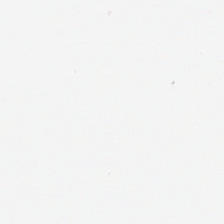H&E stain. 224×224 px patch. Background.
